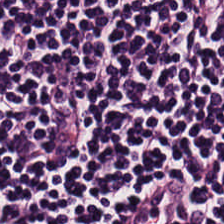H&E stain. Q: What is shown here?
A: This is lymphoid infiltrate.
